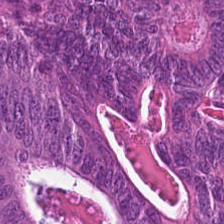Hematoxylin and eosin — Tumor epithelium.
